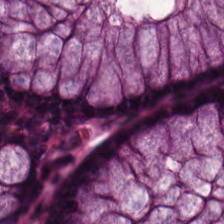H&E-stained tissue section — Q: Classify this patch.
A: It is normal colon mucosa.
